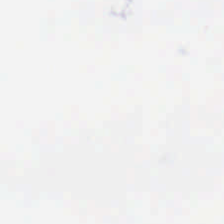H&E stain — Background — no tissue in this field.
